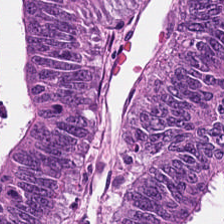Hematoxylin-and-eosin section: tumor epithelium.
